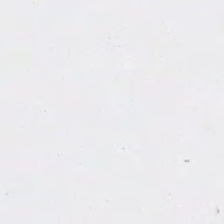Formalin-fixed paraffin-embedded section; brightfield microscopy; H&E stain. Background — no tissue in this field.
